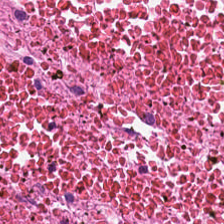H&E-stained tissue section.
{"tissue_type": "cellular debris"}
